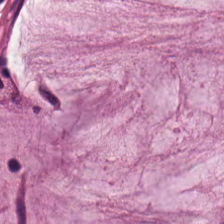Hematoxylin and eosin. FFPE tissue section. 224×224 pixel tile — Q: Identify the tissue.
A: The field shows mucin.
